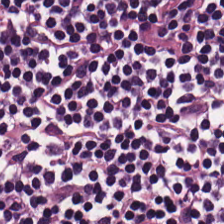Formalin-fixed paraffin-embedded section; hematoxylin and eosin; 20× equivalent magnification.
Showing lymphocytic infiltrate.
